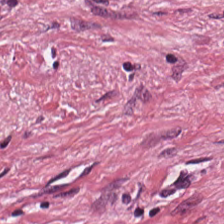H&E; 0.5 µm/px.
Q: What is shown here?
A: It is desmoplastic stroma.
